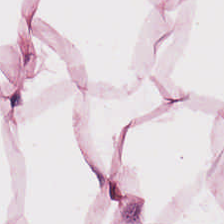H&E-stained tissue section. Tissue type: adipose.
